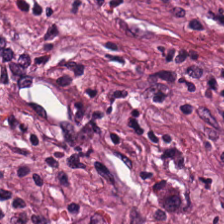Hematoxylin and eosin. {"tissue_type": "tumor stroma"}
